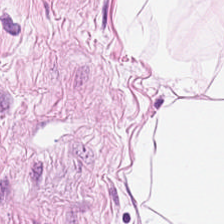Showing fat tissue.
